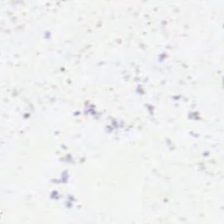H&E stain — Q: Classify this patch.
A: This is no tissue.
